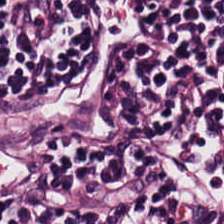H&E-stained tissue section.
Predominantly lymphoid infiltrate.
